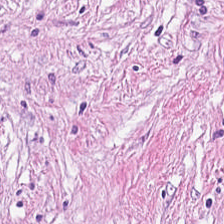Q: What tissue is shown?
A: This is desmoplastic stroma.
